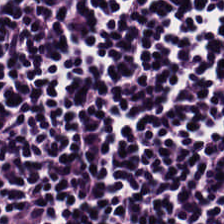Stain: hematoxylin-and-eosin stained section.
Preparation: formalin-fixed paraffin-embedded section.
Tissue class: lymphoid infiltrate.
